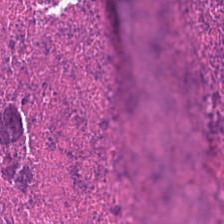H&E stain.
This patch shows necrotic debris.
